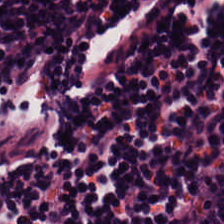H&E-stained tissue section. The tissue here is lymphoid infiltrate.
